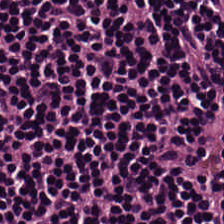Formalin-fixed paraffin-embedded section; H&E stain; 0.5 microns per pixel.
Impression → lymphocytic infiltrate.
